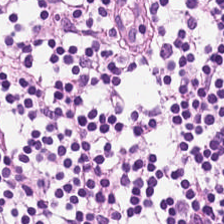Formalin-fixed paraffin-embedded section · hematoxylin and eosin — This field is lymphoid infiltrate.
